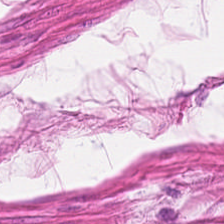H&E stain.
Predominant tissue: smooth muscle.
